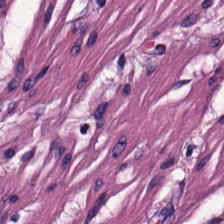Hematoxylin and eosin — The tissue type is smooth muscle.
